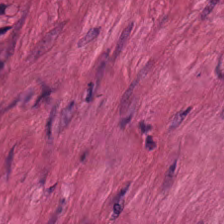Hematoxylin and eosin.
Predominantly smooth-muscle tissue.
